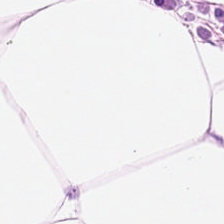Hematoxylin-and-eosin stained section; 224×224 pixel tile. This field is adipocytes.
